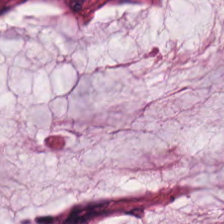Whole-slide-image patch. H&E stain. FFPE tissue section. Tissue class: mucin.
